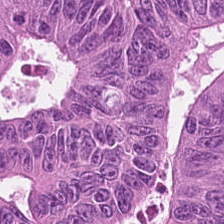Classification = malignant epithelium.
